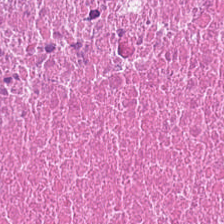Q: What type of tissue is this?
A: It is cellular debris.
